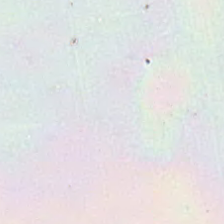Hematoxylin-and-eosin stained section; 224×224 pixel tile — Q: What is shown here?
A: Background.
